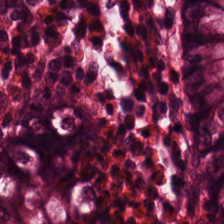H&E stain. This patch shows non-neoplastic colon mucosa.
